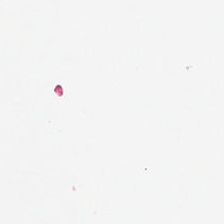No tissue present; background only.
